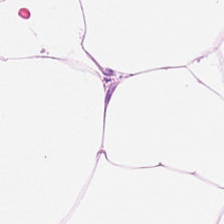Stain: H&E-stained tissue section.
Acquisition: brightfield microscopy.
Predominant tissue: adipocytes.
